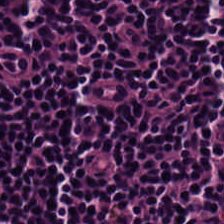H&E-stained tissue section — This patch shows lymphocytic infiltrate.
